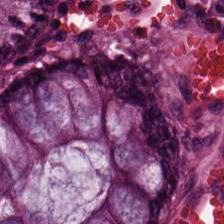Normal colonic mucosa.
